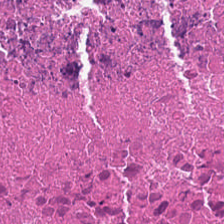Histology → cellular debris.
